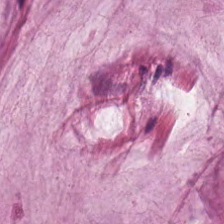Stain: H&E-stained tissue section.
Tissue: mucin.
